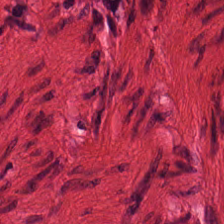224×224 px patch. H&E. Brightfield.
Showing smooth-muscle tissue.
